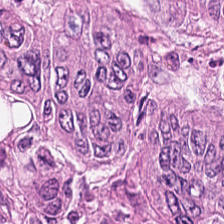Stain: H&E.
Preparation: formalin-fixed paraffin-embedded section.
Tile size: 224×224 pixel tile.
Tissue type: tumor epithelium.
